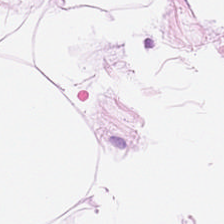Hematoxylin and eosin.
Predominant tissue = adipose.
